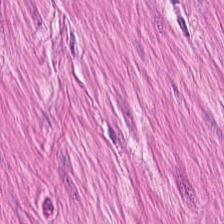Stain: H&E stain.
Resolution: 20× equivalent magnification.
Predominant tissue: smooth-muscle tissue.
